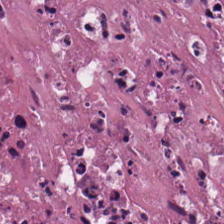Hematoxylin-and-eosin stained section; 0.5 microns per pixel; FFPE.
This patch shows necrotic debris.
